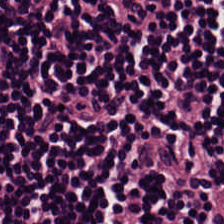Stain: hematoxylin and eosin.
Predominant tissue: lymphocytic infiltrate.
